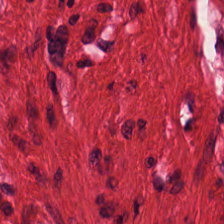H&E — This patch shows smooth muscle.
